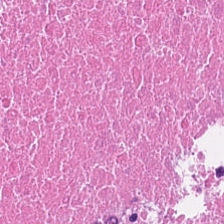H&E stain.
Impression → debris.
